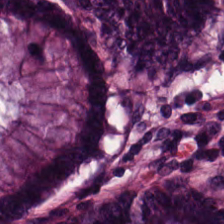Histology — normal colonic mucosa.
